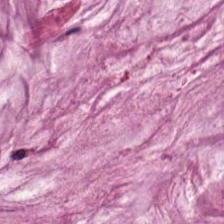224×224 px tile. H&E. Showing mucin.
